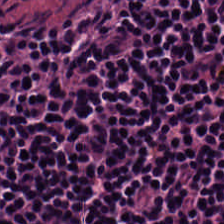H&E-stained tissue section · 0.5 microns per pixel · WSI patch. Predominantly lymphoid infiltrate.
